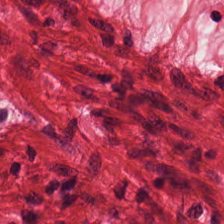Whole-slide-image patch; H&E stain — Classification: smooth muscle.
